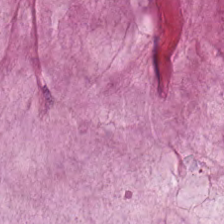H&E stain · brightfield · FFPE — Histology → mucus.
